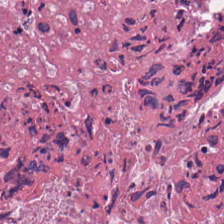Hematoxylin and eosin. The predominant tissue is necrotic debris.
